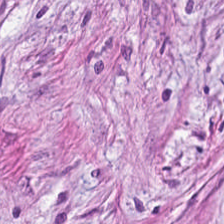H&E stain — This field is tumor-associated stroma.
